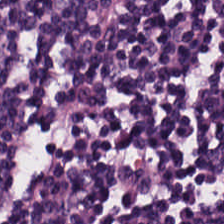224×224 px tile. H&E-stained tissue section. 0.5 microns per pixel.
Classification = lymphocytic infiltrate.
